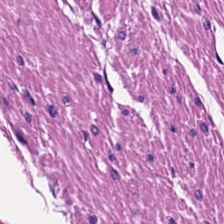Smooth-muscle tissue.
